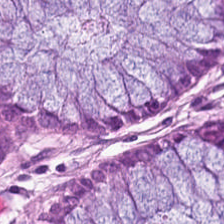Histology → benign colonic mucosa.
